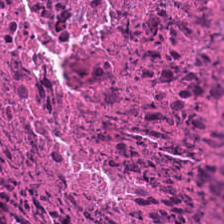Whole-slide-image patch. H&E. Formalin-fixed paraffin-embedded section — Q: What does this patch show?
A: The field shows cellular debris.
